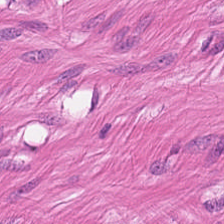Hematoxylin-and-eosin stained section · FFPE tissue section.
This field is muscularis.
